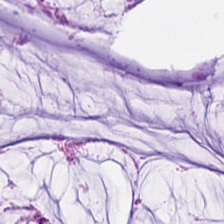Q: Identify the tissue.
A: It is mucin.
